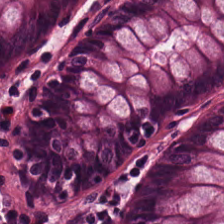Finding → non-neoplastic colon mucosa.
